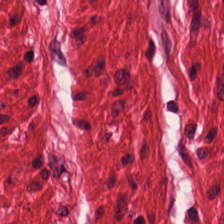Hematoxylin and eosin. Muscularis.
